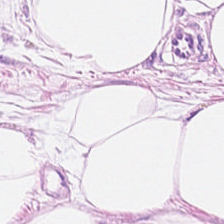H&E. Formalin-fixed paraffin-embedded section — Finding → adipose.
